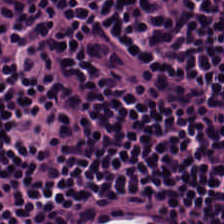Stain: H&E stain.
Classification: lymphocyte aggregate.
